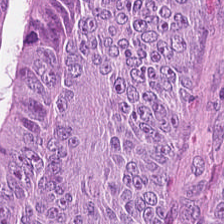Q: What is shown in this field?
A: It is malignant epithelium.
